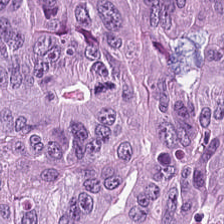This patch shows colorectal adenocarcinoma epithelium.
